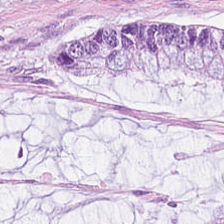0.5 microns per pixel · formalin-fixed paraffin-embedded section · hematoxylin and eosin.
Tissue class = mucin.
